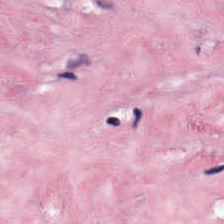H&E-stained tissue section — Q: What is shown in this field?
A: The field shows desmoplastic stroma.
